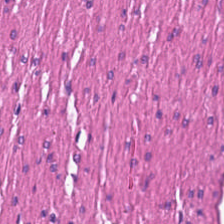The tissue type is smooth muscle.
